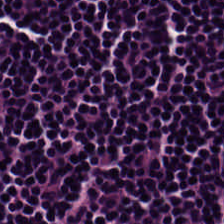Tissue = lymphocytes.
